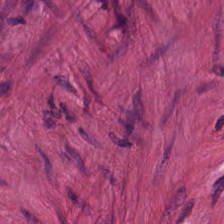Hematoxylin and eosin. FFPE. 224×224 pixel tile.
Smooth-muscle tissue.
